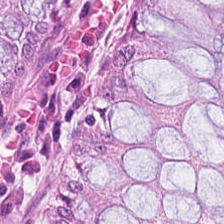20× equivalent magnification · hematoxylin and eosin.
The tissue here is non-neoplastic colon mucosa.
